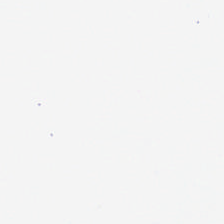H&E; FFPE. The classification is background.
